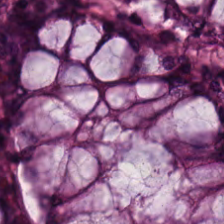H&E — This field is normal colon mucosa.
